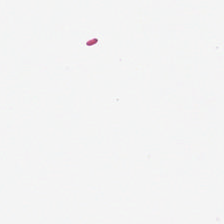Stain: hematoxylin and eosin.
Field content: empty background.
